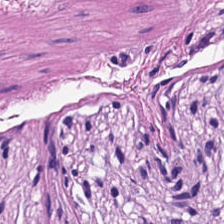Histology → smooth-muscle tissue.
